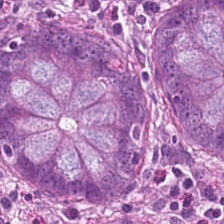H&E stain.
Tissue class: normal colon mucosa.
